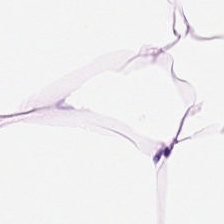Tissue — fat tissue.
